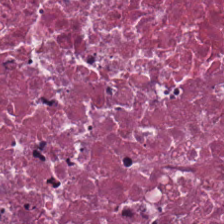0.5 microns per pixel · hematoxylin and eosin — Predominantly debris.
